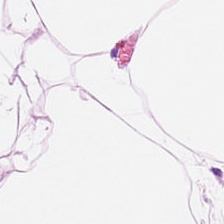The tissue class is adipose tissue.
